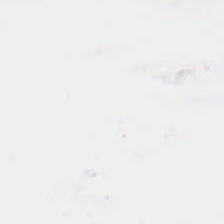H&E — {"content": "no tissue"}
